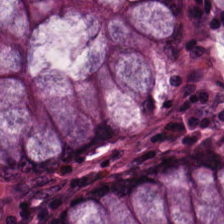Stain: hematoxylin and eosin.
Acquisition: whole-slide-image patch.
Classification: normal colonic mucosa.
